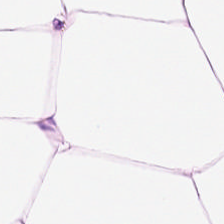WSI patch; 0.5 µm per pixel; H&E-stained tissue section — Predominant tissue = adipose tissue.
